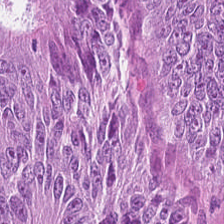Hematoxylin-and-eosin stained section.
Q: What does this patch show?
A: It is malignant epithelium.
